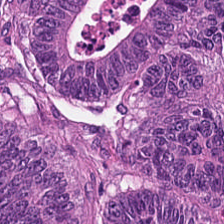H&E. Colorectal adenocarcinoma epithelium.
